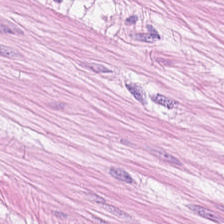Stain: H&E-stained tissue section.
Resolution: 0.5 microns per pixel.
Preparation: FFPE tissue section.
Predominant tissue: smooth muscle.
